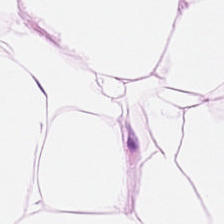Hematoxylin-and-eosin stained section.
Adipose.
